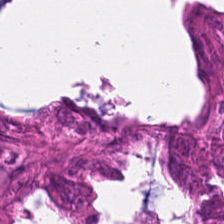0.5 µm/px · H&E stain · FFPE tissue section. Q: What tissue is shown?
A: This is colorectal adenocarcinoma.
